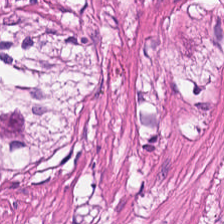Hematoxylin and eosin; FFPE; 224×224 pixel tile — Histology — smooth-muscle tissue.
